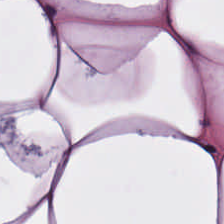H&E — Adipose.
